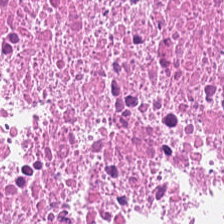Hematoxylin and eosin — Showing cellular debris.
